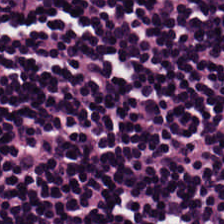20× equivalent magnification · hematoxylin-and-eosin stained section.
Classification = lymphocyte aggregate.
